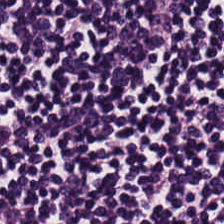224×224 pixel tile · hematoxylin-and-eosin stained section · formalin-fixed paraffin-embedded section. Q: Classify this patch.
A: The field shows lymphocytes.
